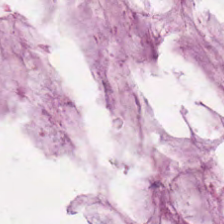Q: Classify this patch.
A: Mucus.
